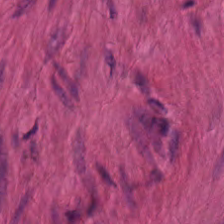H&E stain — The tissue class is smooth-muscle tissue.
